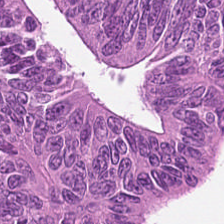Stain: hematoxylin and eosin.
Tile size: 224×224 pixel tile.
Predominant tissue: malignant epithelium.
